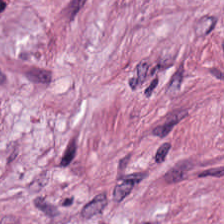Stain: H&E stain.
Predominant tissue: cancer-associated stroma.
